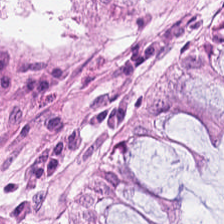Stain: H&E-stained tissue section.
Tile size: 224×224 pixel tile.
Acquisition: WSI patch.
Tissue: benign colonic mucosa.
